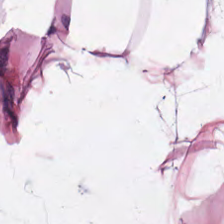Hematoxylin and eosin — This patch shows adipose tissue.
